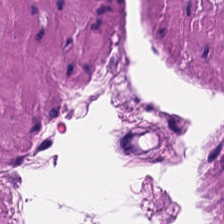Hematoxylin-and-eosin stained section — This field is smooth muscle.
